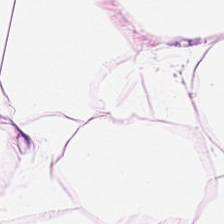H&E stain.
Tissue type: adipose.
